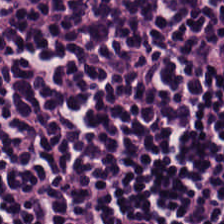Hematoxylin-and-eosin stained section.
The predominant tissue is lymphocytic infiltrate.
